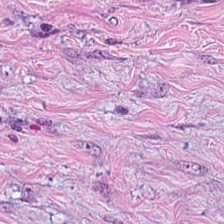Tissue type — tumor stroma.
